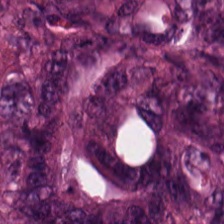H&E-stained tissue section.
The tissue here is adenocarcinoma.
